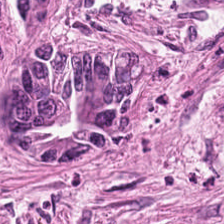Stain: H&E stain.
Tissue type: adenocarcinoma.
